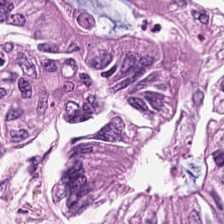Hematoxylin and eosin.
Classification — malignant epithelium.
